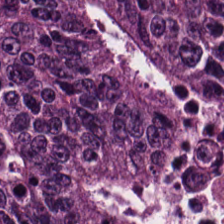H&E — Finding → tumor epithelium.
